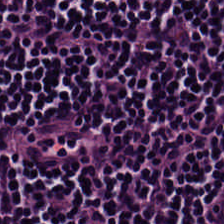Hematoxylin and eosin.
Q: What tissue is shown?
A: This is lymphoid infiltrate.
